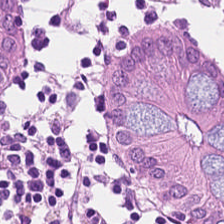Brightfield microscopy · H&E stain.
Showing non-neoplastic colon mucosa.
